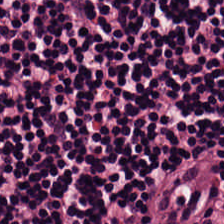Formalin-fixed paraffin-embedded section; hematoxylin and eosin.
Q: What is shown here?
A: Lymphocytes.
